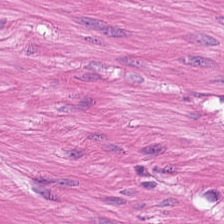224×224 px tile · H&E — Predominantly smooth muscle.
